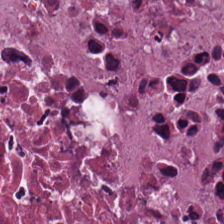Hematoxylin-and-eosin section: debris.
